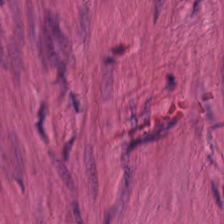H&E — Tissue = smooth muscle.
